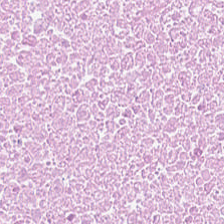H&E; 20× equivalent magnification. Predominantly necrotic debris.
